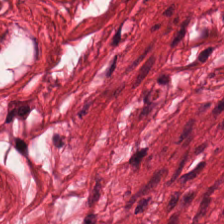H&E-stained tissue section; whole-slide-image patch; 20× equivalent magnification. Tissue: muscularis.
